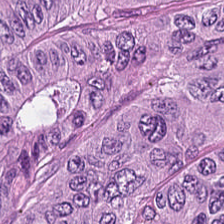Formalin-fixed paraffin-embedded section. 224×224 px patch. H&E. The tissue here is malignant epithelium.
